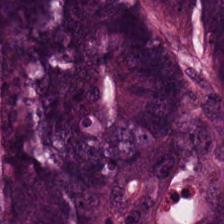Hematoxylin-and-eosin stained section. 224×224 px tile. FFPE tissue section — This field is colorectal adenocarcinoma epithelium.
